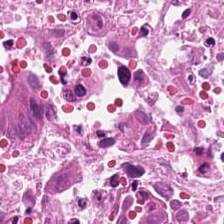Debris.
